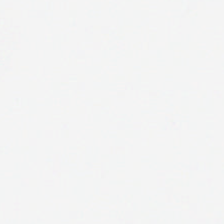Hematoxylin and eosin. Classification: background.
